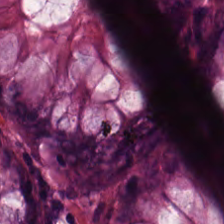Hematoxylin-and-eosin stained section. Predominantly normal colon mucosa.
